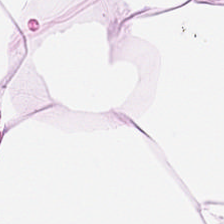Q: Identify the tissue.
A: It is adipose.
